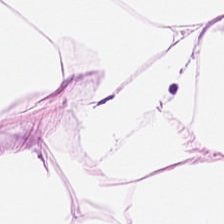Hematoxylin and eosin; brightfield microscopy; 224×224 px tile — Q: Identify the tissue.
A: The field shows fat tissue.
